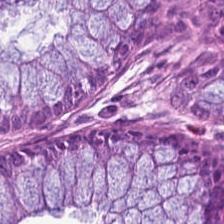Hematoxylin and eosin · 0.5 microns per pixel. Tissue class = normal colon mucosa.
